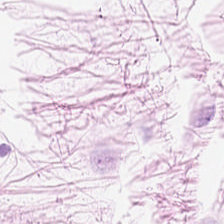H&E-stained tissue section — Showing fat tissue.
